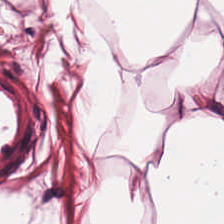{"tissue_type": "adipose"}
